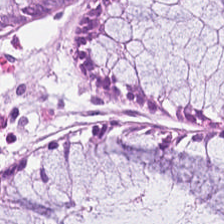H&E · brightfield. The predominant tissue is normal colon mucosa.
